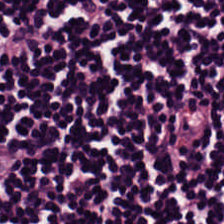{"tissue_type": "lymphocytes"}
